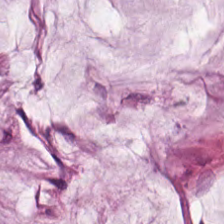H&E.
Extracellular mucin.
